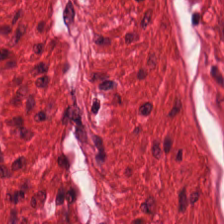H&E stain. Q: What is shown in this field?
A: It is smooth muscle.
